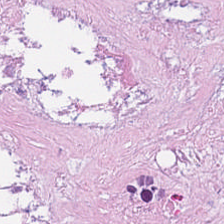Hematoxylin and eosin — Classification = necrotic debris.
